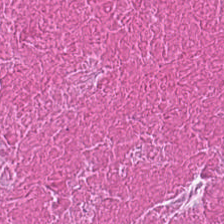This field is debris.
